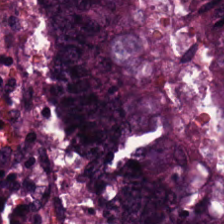H&E. Impression → colorectal adenocarcinoma.
